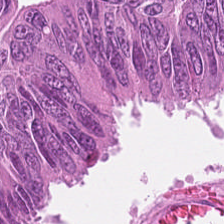Tumor epithelium.
